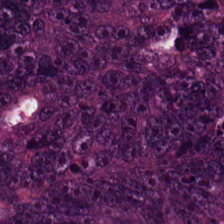Hematoxylin-and-eosin stained section. Q: What is the predominant tissue type?
A: Adenocarcinoma.
